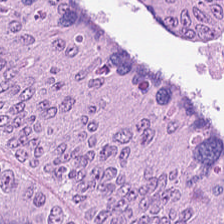H&E stain — The tissue class is malignant epithelium.
